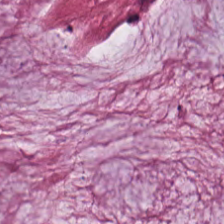H&E stain — Extracellular mucin.
